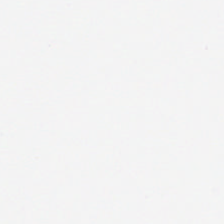Background — no tissue in this field.
